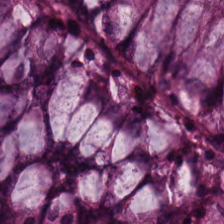H&E-stained tissue section · brightfield.
{"tissue_type": "non-neoplastic colon mucosa"}
